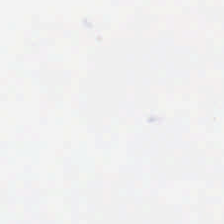The content is background (no tissue).
